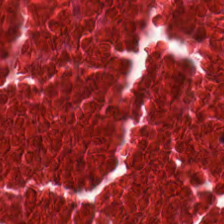224×224 px tile · formalin-fixed paraffin-embedded section · H&E — This patch shows debris.
